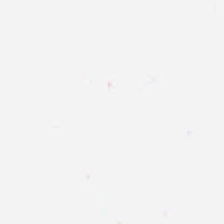Stain: H&E.
Content: background (no tissue).
